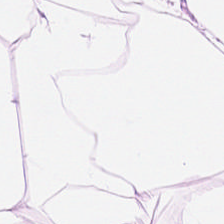H&E — adipose tissue.
